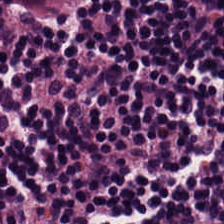Stain: H&E stain.
Tissue class: lymphocyte aggregate.
